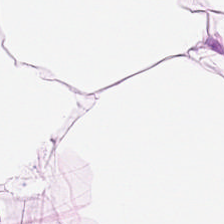0.5 microns per pixel · H&E-stained tissue section · FFPE.
Tissue type — adipocytes.
